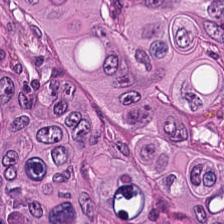224×224 pixel tile; H&E. The classification is colorectal adenocarcinoma epithelium.
